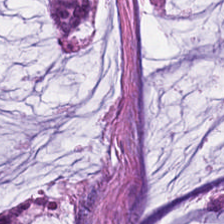224×224 px patch · 0.5 microns per pixel · H&E-stained tissue section.
Q: Identify the tissue.
A: Extracellular mucin.
